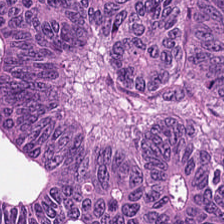224×224 pixel tile · H&E-stained tissue section.
Finding → malignant epithelium.
